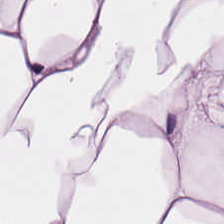Hematoxylin and eosin.
This field is adipose tissue.
